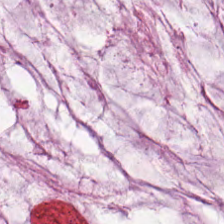H&E-stained tissue section showing mucin.
